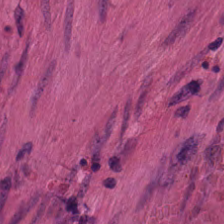The predominant tissue is smooth muscle.
